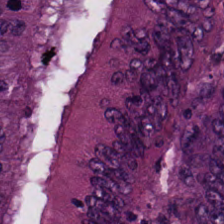Hematoxylin-and-eosin stained section.
Predominantly adenocarcinoma.
